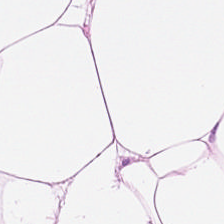This field is fat tissue.
